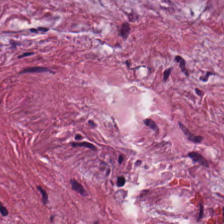224×224 px patch. H&E. Tumor stroma.
